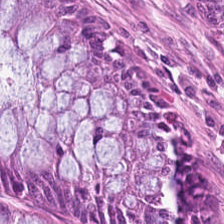Hematoxylin-and-eosin stained section; WSI patch.
Q: Identify the tissue.
A: It is non-neoplastic colon mucosa.
